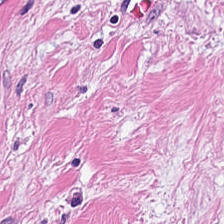Hematoxylin and eosin; FFPE tissue section; 224×224 px tile — Showing cancer-associated stroma.
